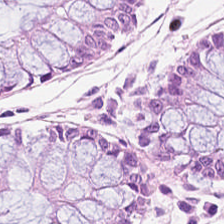Stain: hematoxylin-and-eosin stained section.
Resolution: 0.5 µm/px.
Tile size: 224×224 pixel tile.
Tissue type: normal colon mucosa.
